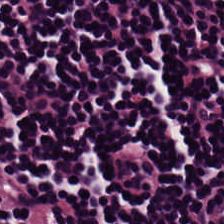Formalin-fixed paraffin-embedded section; H&E stain; 0.5 microns per pixel.
Q: What is the predominant tissue type?
A: Lymphocyte aggregate.
